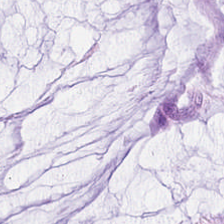H&E stain. FFPE tissue section.
Q: What tissue is shown?
A: It is mucin.
